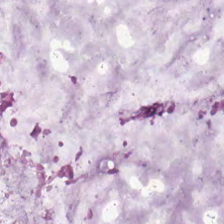Impression → mucin.
